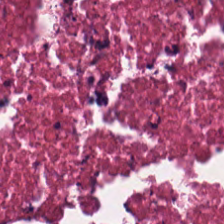H&E. Brightfield microscopy. Formalin-fixed paraffin-embedded section.
Classification: debris.
